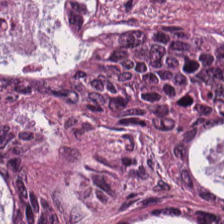H&E-stained tissue section.
Histology → malignant epithelium.
